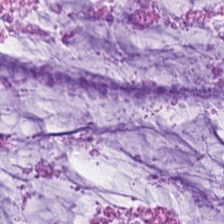H&E — mucin.
